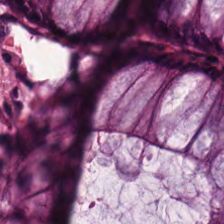Hematoxylin and eosin. Tissue type — normal colon mucosa.
